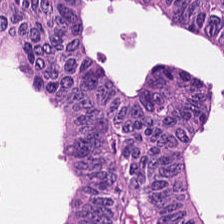Hematoxylin and eosin.
Predominantly tumor epithelium.
